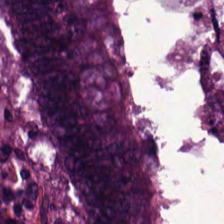H&E.
The tissue is colorectal adenocarcinoma.
